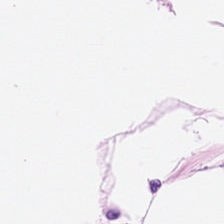H&E-stained tissue section — Q: What does this patch show?
A: This is adipocytes.
